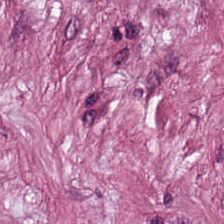H&E-stained section; the field shows tumor-associated stroma.
